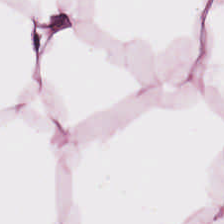H&E-stained tissue section. The predominant tissue is adipose tissue.
